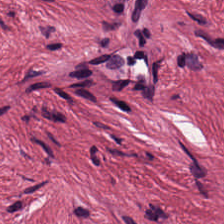FFPE · H&E — The predominant tissue is desmoplastic stroma.
